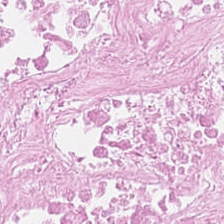H&E-stained tissue section — Predominantly debris.
